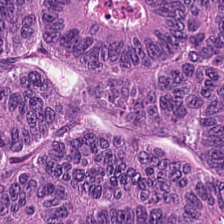H&E; 224×224 px patch — Q: Classify this patch.
A: The field shows colorectal adenocarcinoma epithelium.
